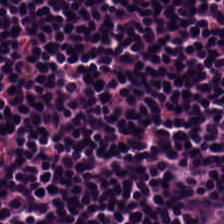H&E stain.
The tissue here is lymphocytic infiltrate.
